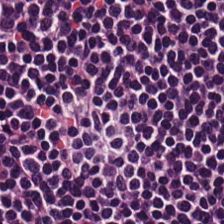H&E stain.
The tissue is lymphoid infiltrate.
